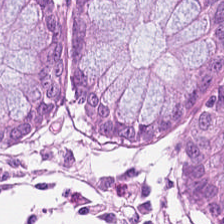0.5 microns per pixel; hematoxylin and eosin; 224×224 pixel tile — Normal colonic mucosa.
